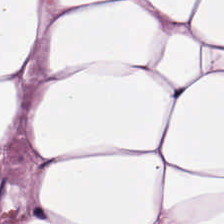Stain: H&E stain.
Resolution: 0.5 µm per pixel.
Tissue class: adipose.
